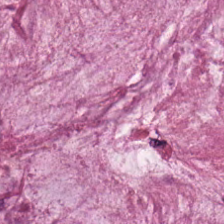0.5 microns per pixel; H&E. Extracellular mucin.
